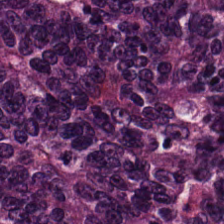Whole-slide-image patch. Hematoxylin and eosin. FFPE — Predominantly colorectal adenocarcinoma.
